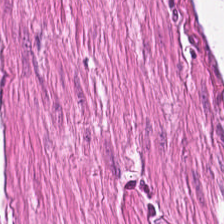H&E-stained tissue section. The predominant tissue is smooth-muscle tissue.
